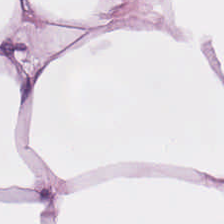224×224 px patch; hematoxylin-and-eosin stained section.
Tissue — adipose.
